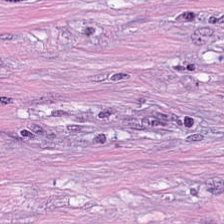Hematoxylin and eosin. The tissue type is tumor stroma.
